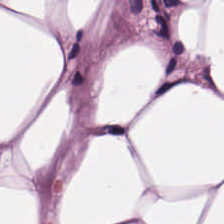H&E-stained tissue section.
Showing adipose.
